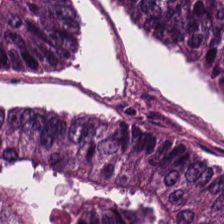Finding — colorectal adenocarcinoma.
